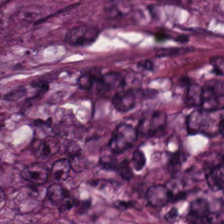Hematoxylin-and-eosin stained section; FFPE. Impression — adenocarcinoma.
